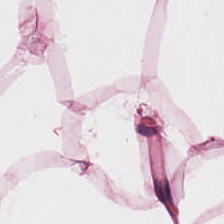H&E-stained tissue section.
Showing adipocytes.
